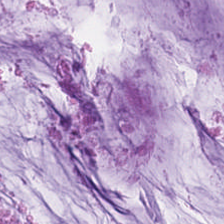Brightfield. 224×224 pixel tile. Hematoxylin and eosin — Tissue class — mucin.
